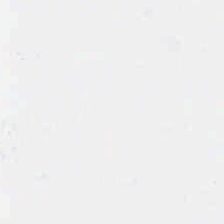Q: What does this patch show?
A: The field shows no tissue.
